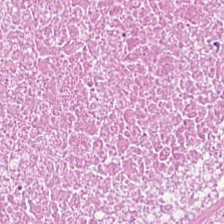H&E stain.
Finding — debris.
